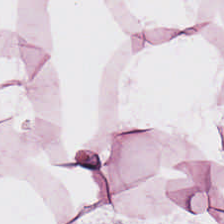H&E-stained section; the field shows adipocytes.
